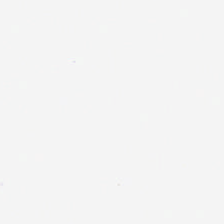H&E.
Histology — empty background.
